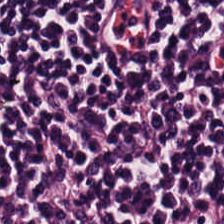H&E-stained tissue section showing lymphocytic infiltrate.
